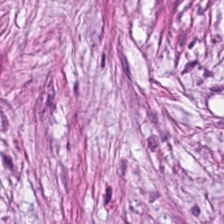0.5 microns per pixel. Hematoxylin-and-eosin stained section. {"tissue_type": "tumor stroma"}
